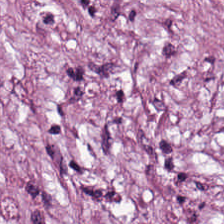0.5 µm/px · hematoxylin-and-eosin stained section — Showing cancer-associated stroma.
